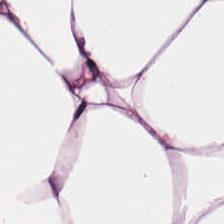H&E stain; FFPE.
{"tissue_type": "fat tissue"}
